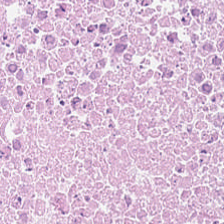H&E.
Predominant tissue: cellular debris.
